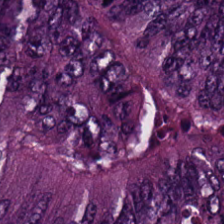WSI patch. H&E. The tissue here is adenocarcinoma.
